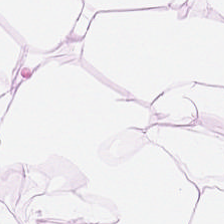Tissue class: adipose.
